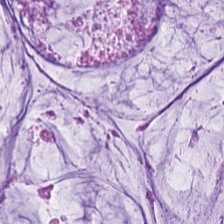Hematoxylin-and-eosin stained section. Tissue class: mucin.
